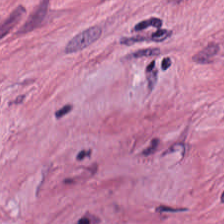Hematoxylin-and-eosin stained section.
Predominantly tumor stroma.
